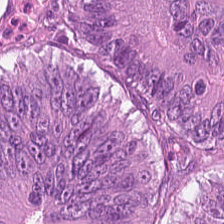Q: What tissue is shown?
A: The field shows adenocarcinoma.
